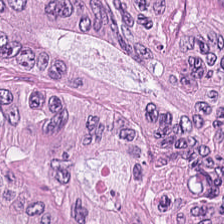FFPE tissue section. H&E-stained tissue section — Tissue class — colorectal adenocarcinoma.
